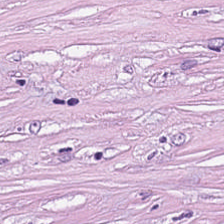H&E-stained tissue section. Finding — tumor stroma.
